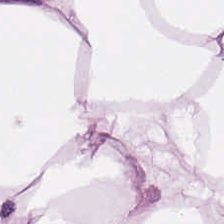H&E. 224×224 px patch. 20× equivalent magnification.
Q: What does this patch show?
A: This is adipocytes.
